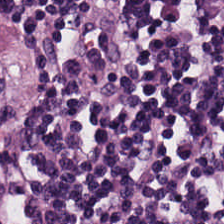H&E stain.
The tissue here is lymphocytic infiltrate.
